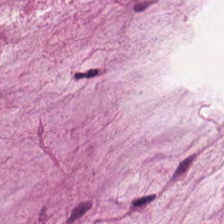H&E-stained tissue section. 0.5 microns per pixel.
Tissue class: mucus.
